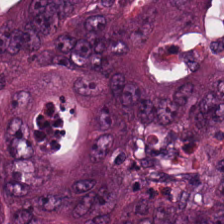H&E — Predominantly tumor epithelium.
